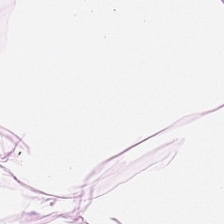H&E. Q: What does this patch show?
A: The field shows fat tissue.
